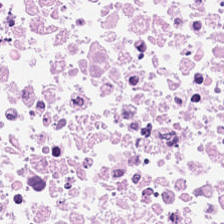224×224 pixel tile · brightfield · hematoxylin-and-eosin stained section — This patch shows necrotic debris.
